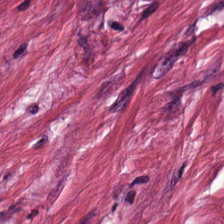H&E. Q: What is shown here?
A: Tumor-associated stroma.
